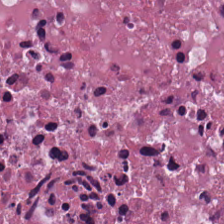{"tissue_type": "necrotic debris"}
